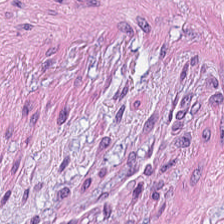H&E. WSI patch — Classification — cancer-associated stroma.
